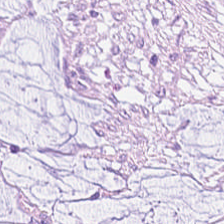Q: What does this patch show?
A: Extracellular mucin.
